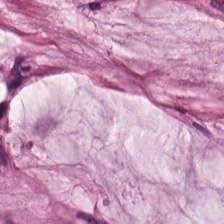Stain: H&E stain.
Tissue class: mucus.
